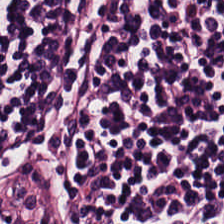FFPE tissue section; H&E stain.
Q: What is shown in this field?
A: It is lymphoid infiltrate.
